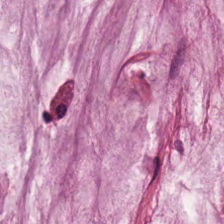Q: What tissue type is shown here?
A: The field shows extracellular mucin.
